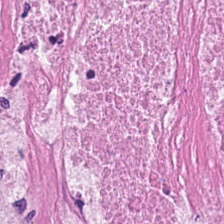H&E-stained section; the field shows cellular debris.
